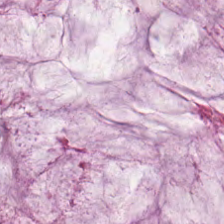H&E-stained section; the field shows mucus.
